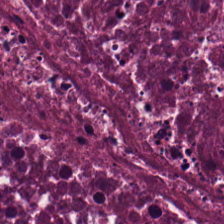H&E — cellular debris.
